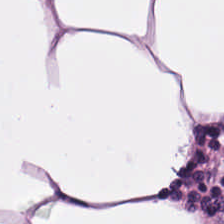Brightfield · 224×224 pixel tile · H&E.
This patch shows adipocytes.
